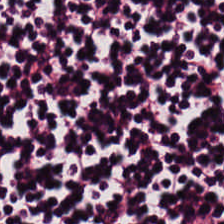H&E.
The predominant tissue is lymphocyte aggregate.
